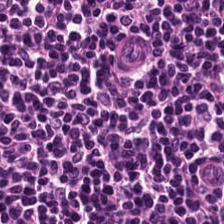H&E.
Q: Identify the tissue.
A: Lymphocyte aggregate.
